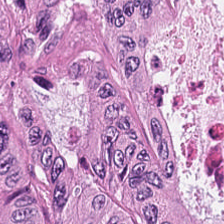H&E stain. Brightfield microscopy. Colorectal adenocarcinoma epithelium.
